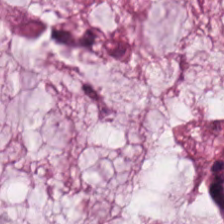H&E.
The tissue here is mucus.
